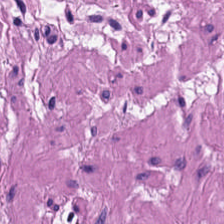Smooth muscle.
